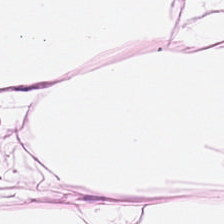224×224 pixel tile · 0.5 microns per pixel · hematoxylin-and-eosin stained section. This patch shows adipose tissue.
